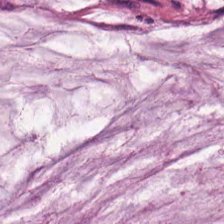H&E-stained tissue section showing mucus.
